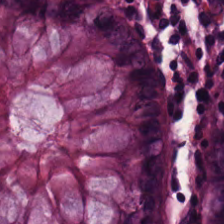WSI patch. Hematoxylin and eosin — Tissue class = normal colonic mucosa.
